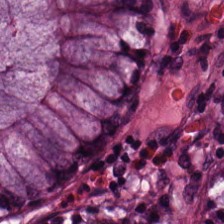Hematoxylin-and-eosin stained section. FFPE.
This patch shows benign colonic mucosa.
